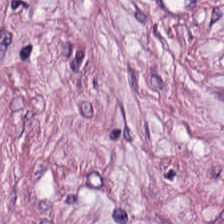Hematoxylin and eosin. The classification is desmoplastic stroma.
